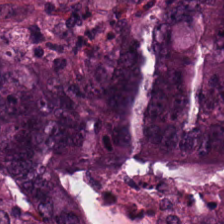H&E stain. Formalin-fixed paraffin-embedded section. 0.5 µm/px. Tumor epithelium.
